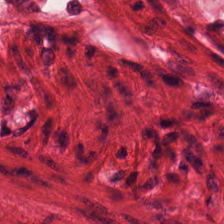Stain: H&E-stained tissue section.
Classification: smooth muscle.
